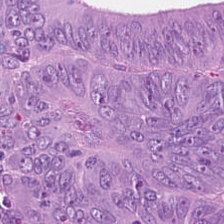224×224 px tile. Hematoxylin-and-eosin stained section — Tissue class — colorectal adenocarcinoma.
